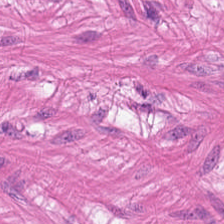H&E · 20× equivalent magnification — Tissue type = smooth muscle.
